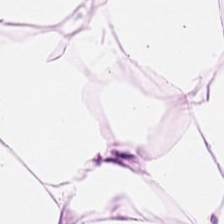{"tissue_type": "adipocytes"}
